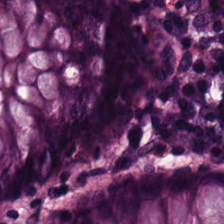H&E.
Showing normal colonic mucosa.
